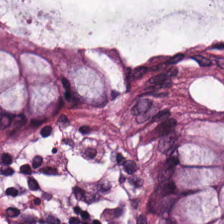H&E stain — Tissue class: normal colon mucosa.
